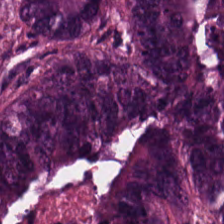Hematoxylin-and-eosin section: malignant epithelium.
